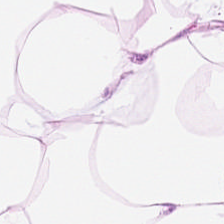H&E patch showing adipose.
